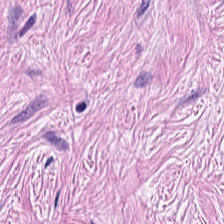Hematoxylin and eosin; 224×224 px tile.
The tissue is tumor stroma.
